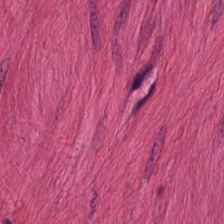H&E. Brightfield microscopy. Predominant tissue: muscularis.
